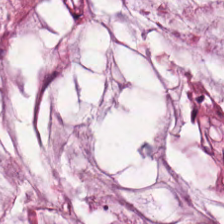Whole-slide-image patch · H&E-stained tissue section · FFPE tissue section.
{"tissue_type": "extracellular mucin"}
